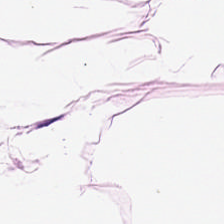Formalin-fixed paraffin-embedded section; hematoxylin-and-eosin stained section. Histology → adipose.
